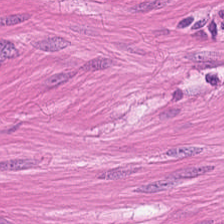Stain: hematoxylin-and-eosin stained section.
Classification: smooth-muscle tissue.
